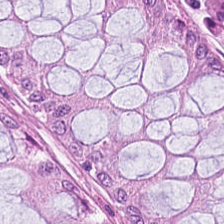Hematoxylin and eosin; 224×224 px tile. Finding — normal colon mucosa.
